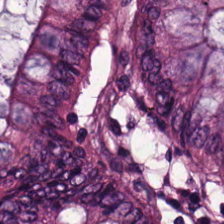0.5 µm per pixel; FFPE tissue section; H&E.
Non-neoplastic colon mucosa.
